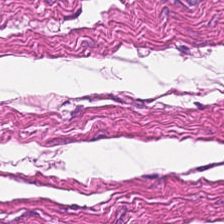Showing smooth muscle.
